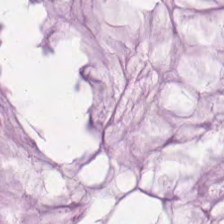224×224 px tile; H&E stain. Q: What does this patch show?
A: It is extracellular mucin.
